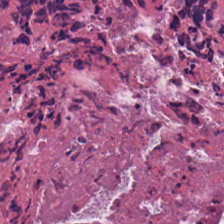Stain: hematoxylin and eosin.
Tissue class: debris.
